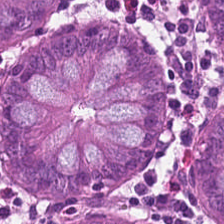Classification = non-neoplastic colon mucosa.
